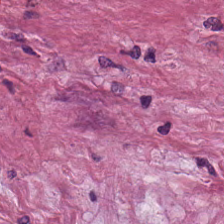FFPE · H&E · 0.5 µm per pixel.
{"tissue_type": "cancer-associated stroma"}
